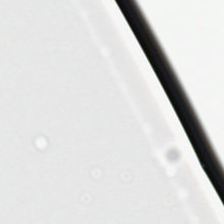Hematoxylin and eosin — This patch shows empty background.
